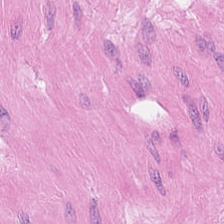Hematoxylin-and-eosin stained section. {"tissue_type": "smooth-muscle tissue"}
